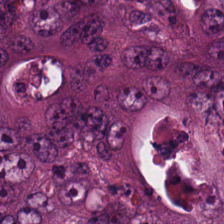H&E — Finding → adenocarcinoma.
